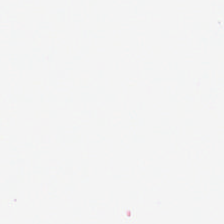Stain: hematoxylin and eosin.
Acquisition: WSI patch.
Preparation: formalin-fixed paraffin-embedded section.
Content: background (no tissue).
